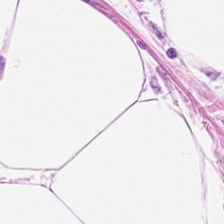H&E. Tissue class — adipose.
